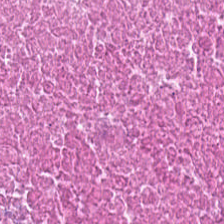Hematoxylin and eosin · FFPE.
Impression → debris.
